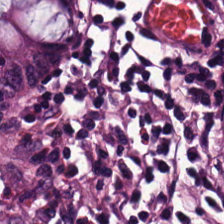H&E. Finding → normal colon mucosa.
